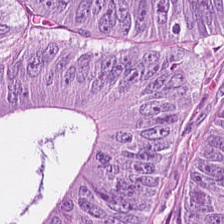Hematoxylin-and-eosin stained section — Showing colorectal adenocarcinoma.
